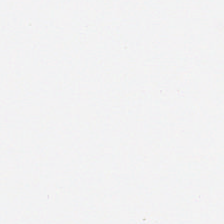H&E. Formalin-fixed paraffin-embedded section. Q: What does this patch show?
A: The field shows no tissue.
